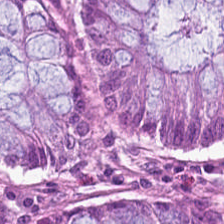Hematoxylin-and-eosin stained section. This field is non-neoplastic colon mucosa.
